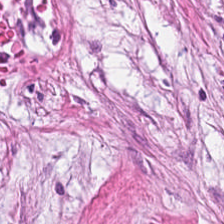The tissue type is desmoplastic stroma.
